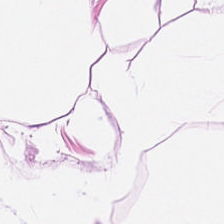Stain: hematoxylin and eosin.
Preparation: formalin-fixed paraffin-embedded section.
Predominant tissue: fat tissue.
